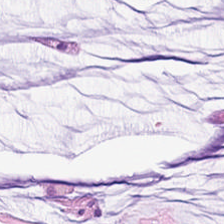20× equivalent magnification · H&E stain · brightfield microscopy.
The tissue here is extracellular mucin.
